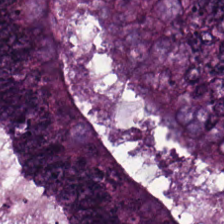Hematoxylin and eosin. 224×224 px patch.
Predominant tissue — adenocarcinoma.
